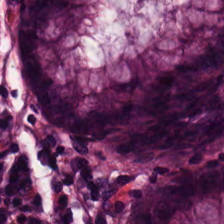Stain: hematoxylin and eosin.
Resolution: 0.5 µm/px.
Preparation: formalin-fixed paraffin-embedded section.
Tissue type: benign colonic mucosa.
